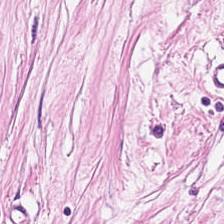Hematoxylin and eosin — Predominantly tumor-associated stroma.
